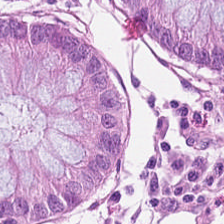Hematoxylin-and-eosin stained section. 224×224 pixel tile — Q: What tissue is shown?
A: The field shows normal colonic mucosa.
